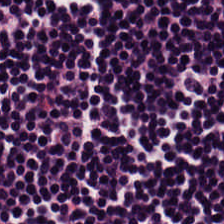H&E-stained tissue section showing lymphoid infiltrate.
